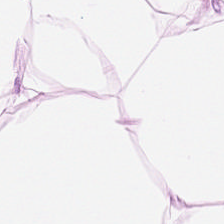224×224 px tile · hematoxylin-and-eosin stained section — This field is adipocytes.
